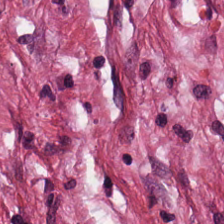224×224 px patch; hematoxylin-and-eosin stained section.
Showing desmoplastic stroma.
